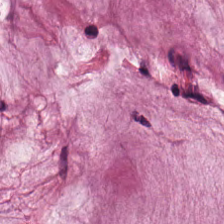Hematoxylin-and-eosin stained section. Whole-slide-image patch.
Q: Classify this patch.
A: The field shows mucin.
